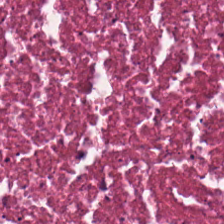H&E stain — Predominant tissue — necrotic debris.
